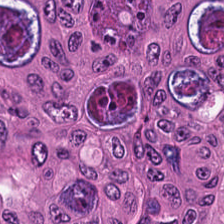Stain: hematoxylin and eosin.
Resolution: 0.5 µm per pixel.
Preparation: FFPE.
Classification: adenocarcinoma.
